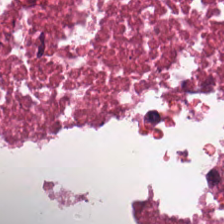Hematoxylin-and-eosin stained section — The predominant tissue is necrotic debris.
